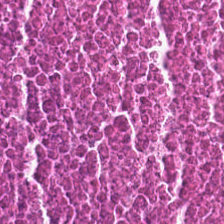Predominantly debris.
